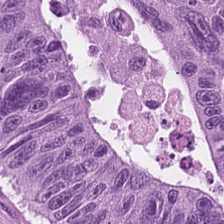Q: What tissue type is shown here?
A: This is colorectal adenocarcinoma.
